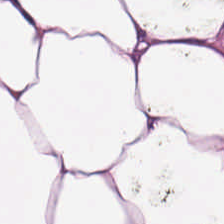H&E stain; FFPE; 0.5 microns per pixel. Tissue type = adipocytes.
